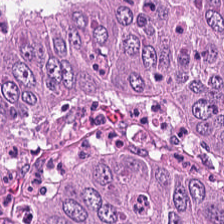224×224 px patch; formalin-fixed paraffin-embedded section; hematoxylin and eosin. Q: Classify this patch.
A: Malignant epithelium.
